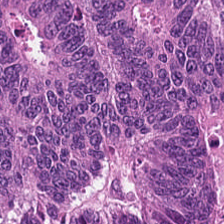H&E stain. 224×224 px patch.
Q: Identify the tissue.
A: It is malignant epithelium.
